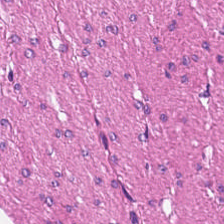H&E stain; 0.5 µm per pixel — Finding — smooth-muscle tissue.
